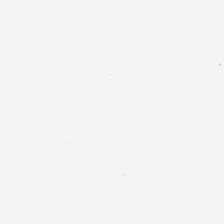H&E stain — Impression → background (no tissue).
